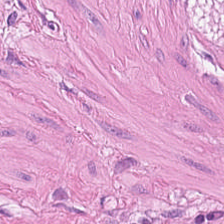Stain: H&E-stained tissue section.
Tissue: smooth-muscle tissue.
